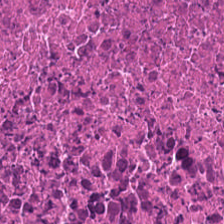WSI patch; H&E-stained tissue section.
Predominant tissue = necrotic debris.
